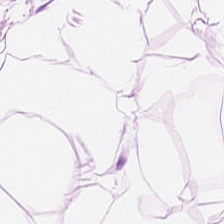This field is fat tissue.
